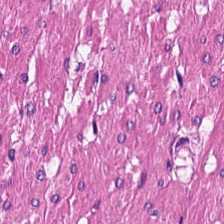H&E.
Tissue type = smooth muscle.
